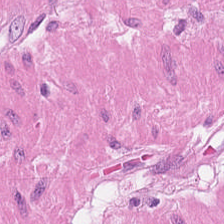Whole-slide-image patch; H&E. This field is muscularis.
